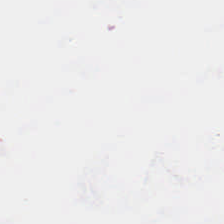H&E. WSI patch. FFPE. Finding → no tissue.
